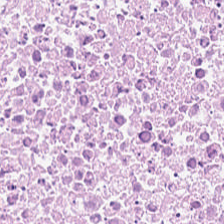Hematoxylin-and-eosin stained section; 0.5 microns per pixel.
Tissue class — necrotic debris.
